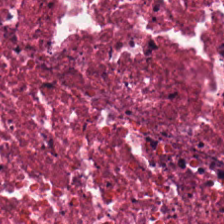Hematoxylin-and-eosin stained section — Predominant tissue — debris.
